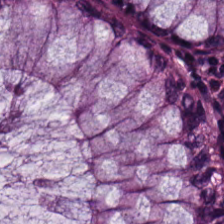H&E stain. Impression — benign colonic mucosa.
